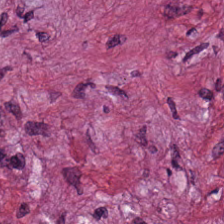Hematoxylin-and-eosin section: cancer-associated stroma.
